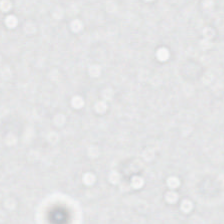Stain: H&E-stained tissue section.
Preparation: FFPE.
Field content: no tissue.
